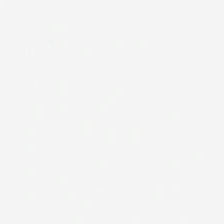H&E stain. 20× equivalent magnification. 224×224 px tile.
Content = no tissue.
